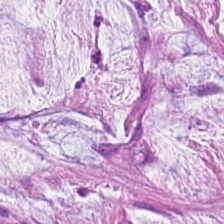224×224 pixel tile. H&E stain. 20× equivalent magnification. The tissue class is mucus.
